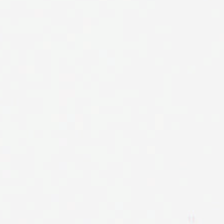H&E-stained tissue section; FFPE tissue section. Impression → empty background.
